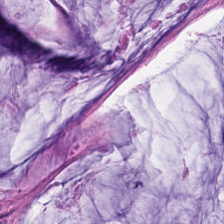H&E-stained tissue section. Tissue: mucus.
